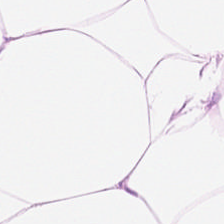H&E stain. 224×224 px patch.
The predominant tissue is adipocytes.
